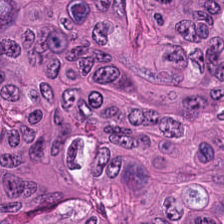Hematoxylin and eosin — Q: What type of tissue is this?
A: This is colorectal adenocarcinoma.
